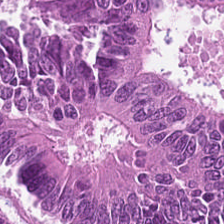FFPE tissue section · 20× equivalent magnification · H&E-stained tissue section. Q: Classify this patch.
A: The field shows colorectal adenocarcinoma.
